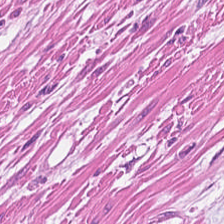Finding → smooth-muscle tissue.
